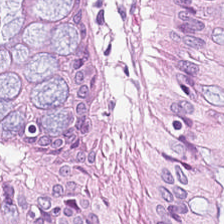H&E-stained tissue section showing non-neoplastic colon mucosa.
